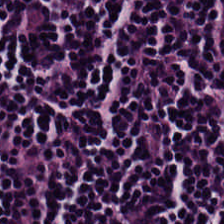FFPE tissue section. Brightfield. H&E stain. This field is lymphocytes.
